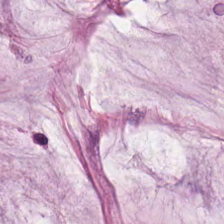The tissue type is mucin.
